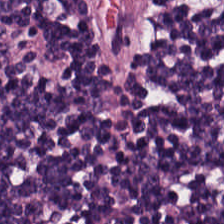Hematoxylin-and-eosin stained section. Q: What is shown here?
A: The field shows lymphocyte aggregate.
